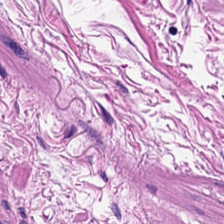Hematoxylin and eosin. 20× equivalent magnification. Formalin-fixed paraffin-embedded section — Showing smooth muscle.
